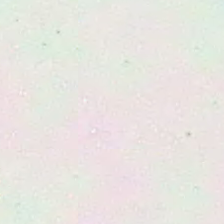224×224 px tile. H&E-stained tissue section.
Field content: no tissue.
